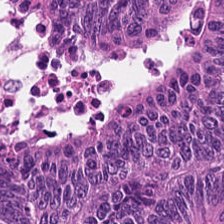0.5 microns per pixel; H&E-stained tissue section — Classification — adenocarcinoma.
